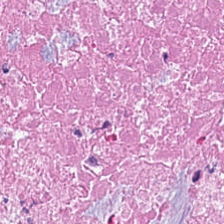H&E-stained tissue section; FFPE tissue section.
Tissue type — debris.
